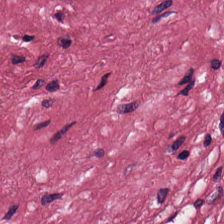Predominant tissue: desmoplastic stroma.
